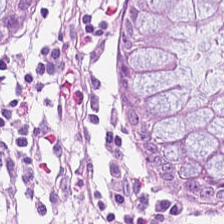Stain: H&E.
Acquisition: whole-slide-image patch.
Tile size: 224×224 px tile.
Tissue: normal colon mucosa.
